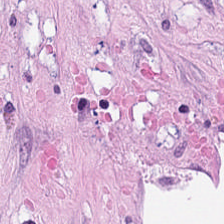H&E-stained tissue section · 0.5 microns per pixel.
The predominant tissue is desmoplastic stroma.
